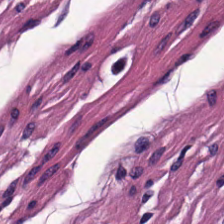Hematoxylin and eosin.
Q: What is shown in this field?
A: Smooth muscle.
